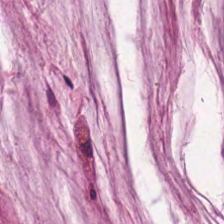Formalin-fixed paraffin-embedded section · brightfield microscopy · H&E.
This patch shows mucin.
